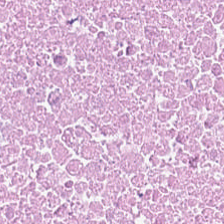H&E-stained tissue section.
Predominantly debris.
